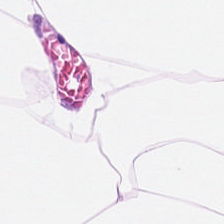H&E. FFPE tissue section.
This field is adipocytes.
